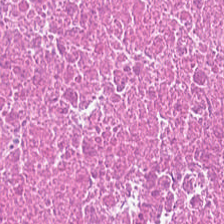Stain: H&E.
Resolution: 0.5 µm per pixel.
Tissue: debris.
